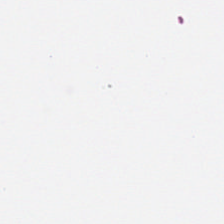Stain: hematoxylin-and-eosin stained section.
Field content: background (no tissue).
